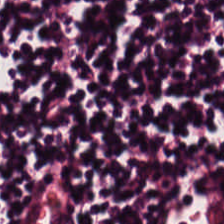H&E-stained tissue section — The tissue here is lymphocytic infiltrate.
